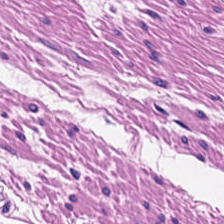Hematoxylin-and-eosin stained section.
Q: Identify the tissue.
A: This is muscularis.
